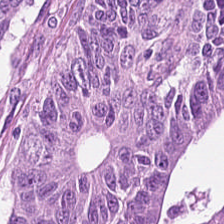H&E stain.
Tissue type — malignant epithelium.
